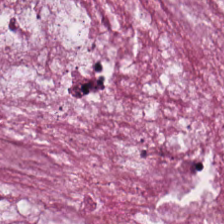Q: Identify the tissue.
A: This is mucin.
